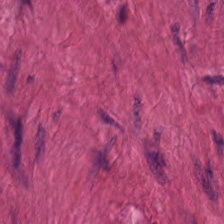Hematoxylin-and-eosin section: smooth-muscle tissue.
